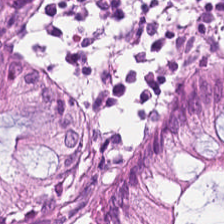0.5 microns per pixel; H&E. Tissue — normal colonic mucosa.
